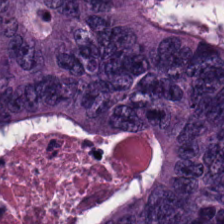Stain: hematoxylin and eosin.
Tissue class: adenocarcinoma.
